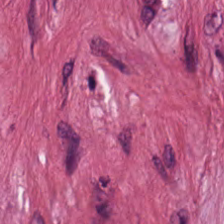H&E-stained tissue section; FFPE tissue section; 20× equivalent magnification.
Desmoplastic stroma.
